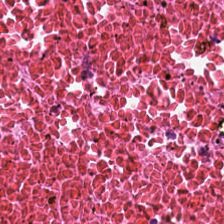Cellular debris.
